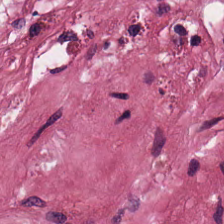Stain: H&E-stained tissue section.
Tissue: tumor stroma.
